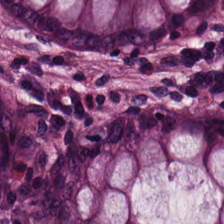Q: What is the predominant tissue type?
A: This is normal colonic mucosa.
